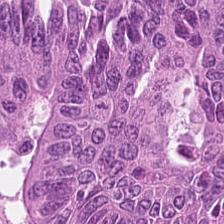Hematoxylin-and-eosin stained section — Q: What is the predominant tissue type?
A: This is colorectal adenocarcinoma epithelium.
